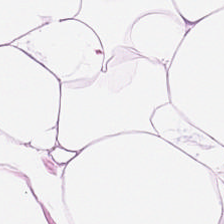Brightfield; H&E; 224×224 px tile. Finding — adipocytes.
